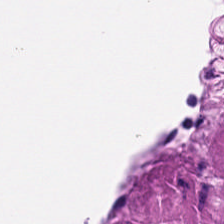Tissue class: muscularis.
